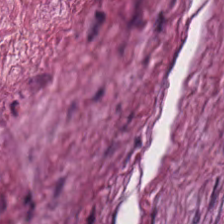H&E-stained tissue section. 224×224 px patch.
Impression → tumor-associated stroma.
